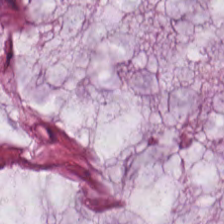{"tissue_type": "mucin"}
